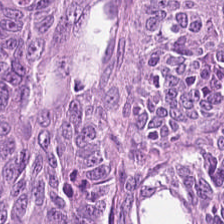Brightfield microscopy. FFPE. H&E-stained tissue section. Tissue — colorectal adenocarcinoma epithelium.
